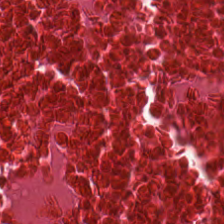H&E-stained tissue section. 0.5 microns per pixel. Formalin-fixed paraffin-embedded section. Showing necrotic debris.
